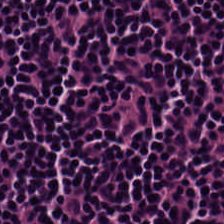H&E.
This patch shows lymphocytes.
